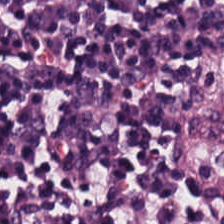H&E patch showing lymphocytes.
